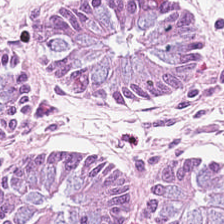H&E stain. Tissue = non-neoplastic colon mucosa.
